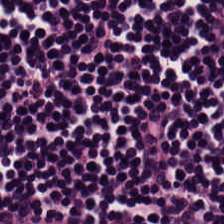20× equivalent magnification · hematoxylin and eosin.
Tissue type: lymphocytes.
